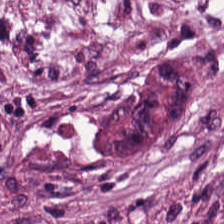Predominantly tumor stroma.
